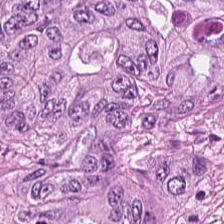H&E stain — Q: What does this patch show?
A: It is colorectal adenocarcinoma.
